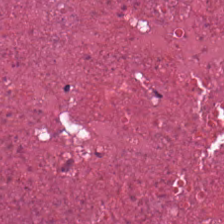Impression → debris.
